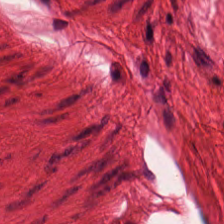Brightfield microscopy. 224×224 px patch. Hematoxylin and eosin — Tissue type: smooth-muscle tissue.
